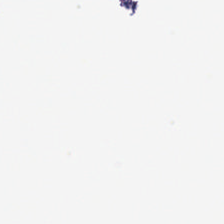H&E-stained tissue section · 0.5 µm per pixel. Classification = empty background.
